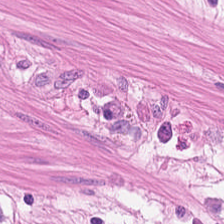H&E-stained tissue section.
Q: What tissue is shown?
A: It is smooth-muscle tissue.
